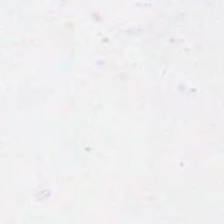Hematoxylin-and-eosin stained section. Brightfield microscopy. 224×224 px tile — Content = background.
